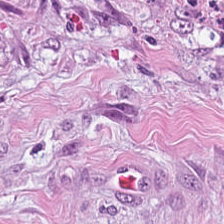Showing tumor stroma.
